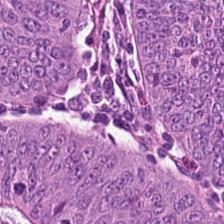H&E — colorectal adenocarcinoma.
